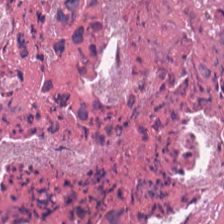Stain: hematoxylin-and-eosin stained section.
Tissue type: necrotic debris.
